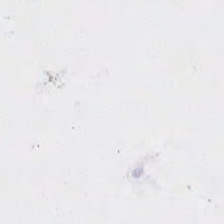Hematoxylin-and-eosin stained section — Content — background (no tissue).
